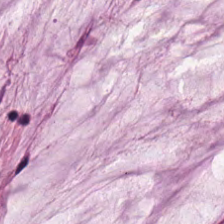224×224 px tile. FFPE tissue section. H&E-stained tissue section — Q: What does this patch show?
A: This is extracellular mucin.
